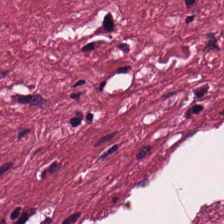H&E · 20× equivalent magnification — The tissue type is tumor-associated stroma.
